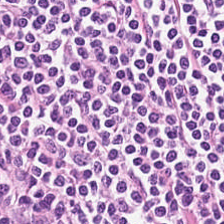Hematoxylin-and-eosin stained section.
Finding — lymphocytes.
